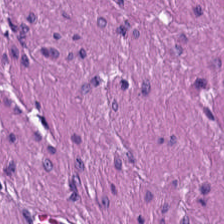Q: What is shown in this field?
A: The field shows muscularis.
